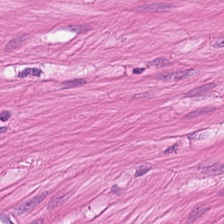H&E; 224×224 pixel tile.
Q: What tissue is shown?
A: It is smooth-muscle tissue.
